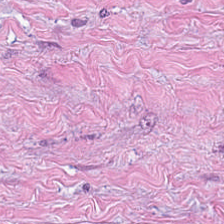H&E stain — Classification: tumor stroma.
